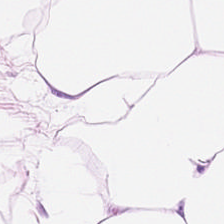Tissue type — adipose tissue.
